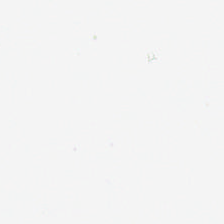Histology — background.
